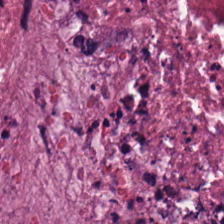Hematoxylin and eosin.
Classification = necrotic debris.
